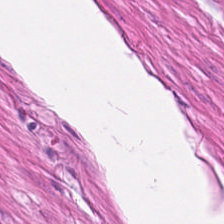H&E — The tissue class is smooth muscle.
